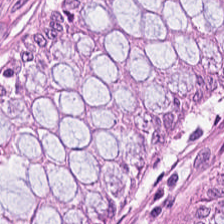Hematoxylin-and-eosin stained section; 0.5 µm per pixel; WSI patch. The tissue here is normal colonic mucosa.
